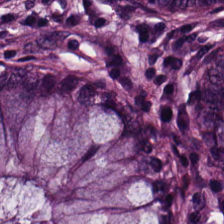Hematoxylin and eosin.
Tissue type = normal colon mucosa.
